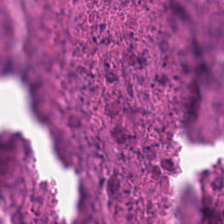Hematoxylin-and-eosin stained section · brightfield.
Finding — debris.
